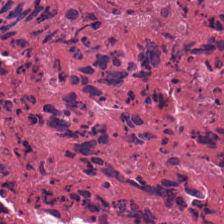H&E-stained tissue section — Q: What tissue is shown?
A: This is cellular debris.
